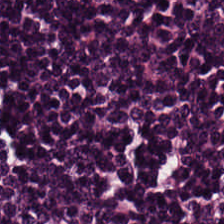H&E; FFPE tissue section — Q: Classify this patch.
A: The field shows lymphoid infiltrate.
